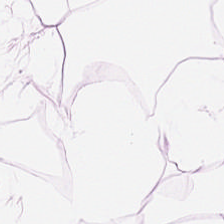H&E stain. Q: Identify the tissue.
A: This is fat tissue.
